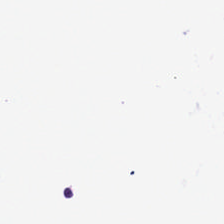Hematoxylin and eosin. FFPE.
Histology → empty background.
